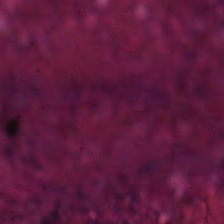H&E-stained tissue section — Histology → necrotic debris.
